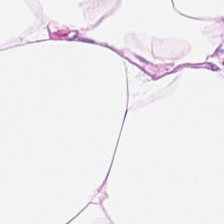Q: What tissue type is shown here?
A: It is adipocytes.
